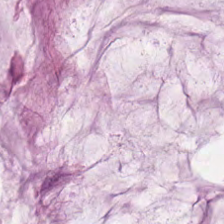Finding → mucus.
